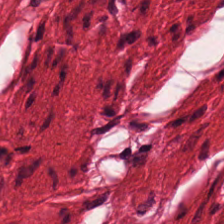H&E-stained tissue section.
{"tissue_type": "smooth-muscle tissue"}
